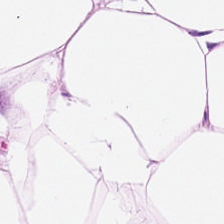Stain: hematoxylin-and-eosin stained section.
Classification: adipose tissue.
